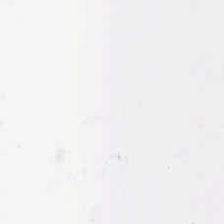FFPE tissue section · H&E · 224×224 pixel tile.
Histology — background (no tissue).
